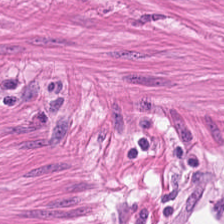224×224 pixel tile; H&E stain.
Tissue: smooth-muscle tissue.
